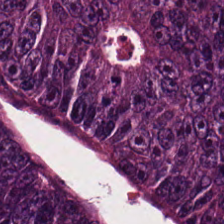H&E stain; formalin-fixed paraffin-embedded section — Predominantly tumor epithelium.
